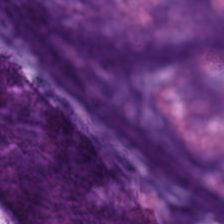H&E. Tissue class — mucus.
